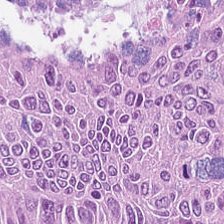Hematoxylin-and-eosin stained section; FFPE tissue section — Classification: colorectal adenocarcinoma.
